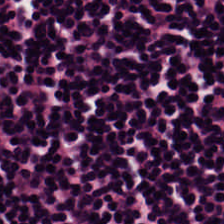H&E; 20× equivalent magnification.
Tissue class = lymphocyte aggregate.
